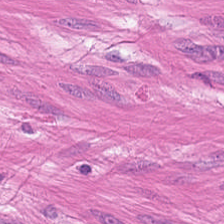Tissue: smooth muscle.
